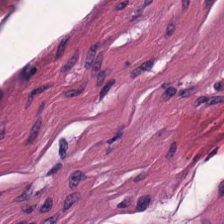Hematoxylin and eosin; brightfield microscopy. Q: Identify the tissue.
A: Muscularis.
